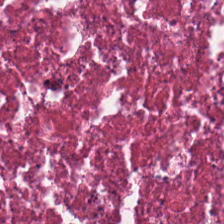FFPE tissue section · hematoxylin and eosin.
Histology → debris.
